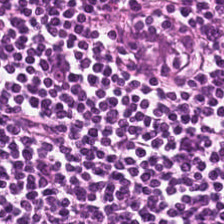H&E. Lymphocytic infiltrate.
